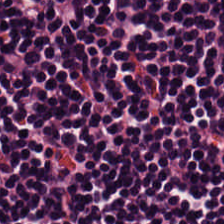Formalin-fixed paraffin-embedded section. H&E stain. 0.5 µm per pixel.
Finding → lymphoid infiltrate.
